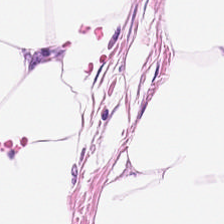Hematoxylin and eosin. FFPE tissue section. Whole-slide-image patch.
The tissue class is fat tissue.
